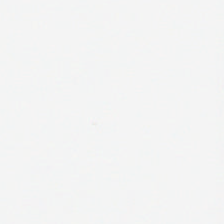H&E stain.
{"content": "empty background"}
